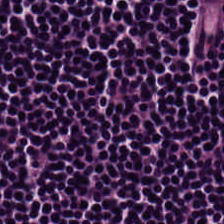H&E stain — Q: What tissue type is shown here?
A: The field shows lymphocytes.
